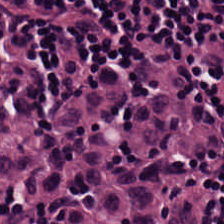FFPE. 224×224 px tile. H&E stain — Q: What is shown in this field?
A: It is lymphocytes.
